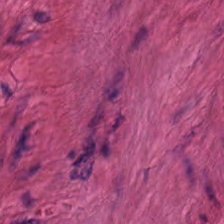Hematoxylin-and-eosin stained section · whole-slide-image patch.
The predominant tissue is smooth muscle.
